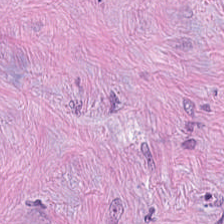H&E — Predominant tissue — desmoplastic stroma.
